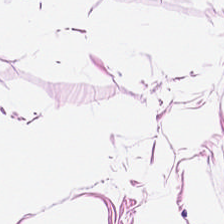The predominant tissue is adipocytes.
